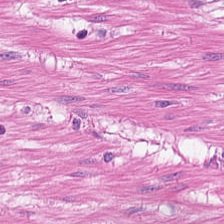Stain: H&E-stained tissue section.
Preparation: formalin-fixed paraffin-embedded section.
Tissue class: smooth muscle.
